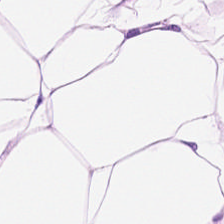Stain: hematoxylin and eosin.
Tissue type: adipocytes.
